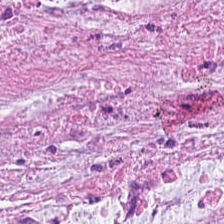224×224 px tile; H&E stain; 0.5 microns per pixel.
Finding → extracellular mucin.
